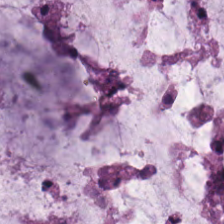H&E-stained tissue section. Predominantly mucin.
